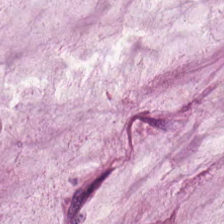The predominant tissue is mucus.
